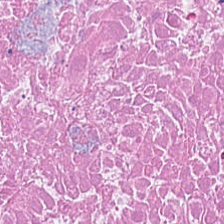{"tissue_type": "cellular debris"}
